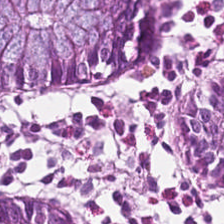20× equivalent magnification; hematoxylin-and-eosin stained section; 224×224 px tile. Tissue type: non-neoplastic colon mucosa.
